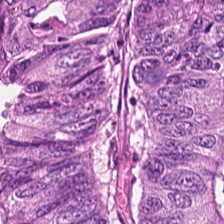Hematoxylin-and-eosin stained section. Classification — colorectal adenocarcinoma epithelium.
